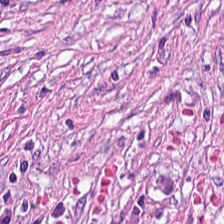Q: What does this patch show?
A: Tumor stroma.
